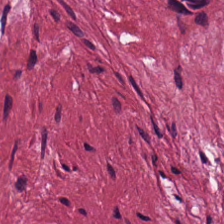H&E.
Showing cancer-associated stroma.
